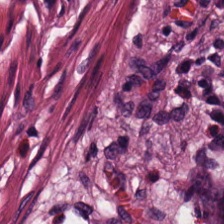Hematoxylin-and-eosin stained section.
Showing normal colon mucosa.
